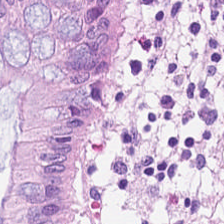Histology — normal colonic mucosa.
